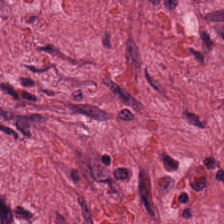Stain: H&E-stained tissue section.
Predominant tissue: cancer-associated stroma.
